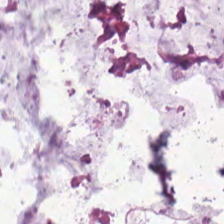Impression → mucin.
